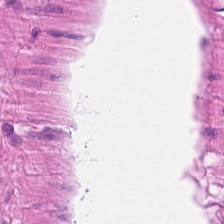FFPE tissue section. Hematoxylin and eosin. Brightfield microscopy. Predominant tissue = smooth-muscle tissue.
